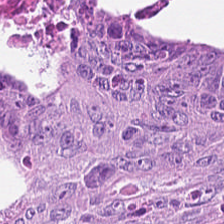H&E stain. Formalin-fixed paraffin-embedded section — {"tissue_type": "colorectal adenocarcinoma epithelium"}
